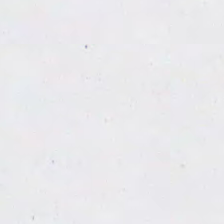Hematoxylin and eosin.
No tissue.
